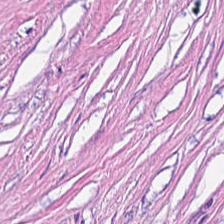H&E-stained tissue section. Q: Identify the tissue.
A: It is desmoplastic stroma.
